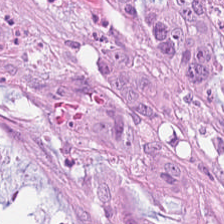H&E stain — Colorectal adenocarcinoma epithelium.
